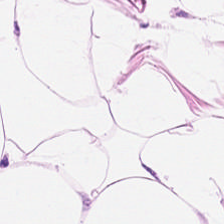H&E.
Predominantly adipocytes.
